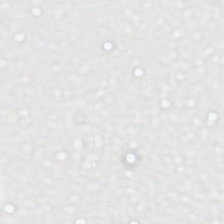{"content": "background (no tissue)"}
